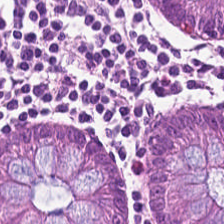H&E — The predominant tissue is benign colonic mucosa.
